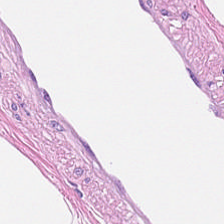H&E.
Predominantly fat tissue.
